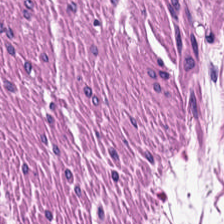Brightfield; H&E. Histology — smooth-muscle tissue.
